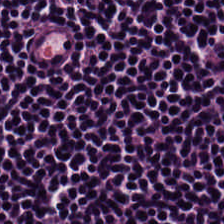Hematoxylin-and-eosin stained section.
Showing lymphocyte aggregate.
